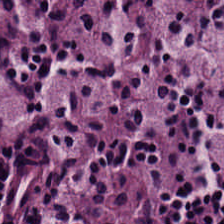Hematoxylin and eosin. This field is lymphocyte aggregate.
